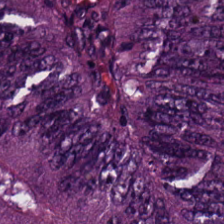Hematoxylin and eosin.
Q: What does this patch show?
A: This is tumor epithelium.
